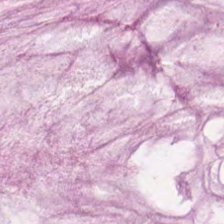Hematoxylin-and-eosin stained section. The tissue class is mucus.
